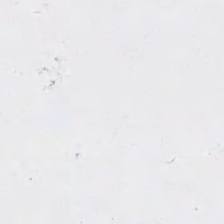Hematoxylin-and-eosin stained section. Brightfield microscopy. 224×224 px tile. Field content = background (no tissue).
